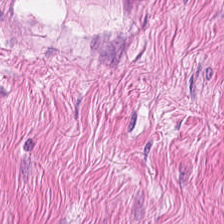The predominant tissue is smooth-muscle tissue.
